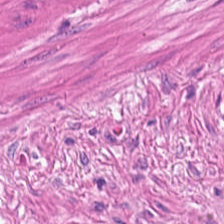H&E stain. Predominant tissue: muscularis.
